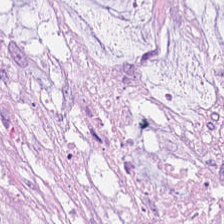H&E stain · FFPE.
Tissue: mucus.
